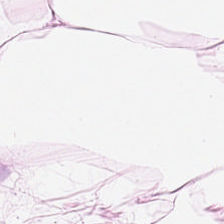Formalin-fixed paraffin-embedded section; H&E stain; WSI patch.
Q: What tissue is shown?
A: It is adipose tissue.
